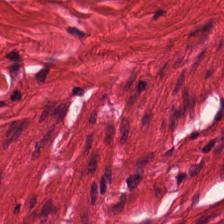Hematoxylin-and-eosin stained section — Showing muscularis.
